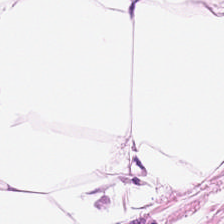H&E. 0.5 microns per pixel. Q: What tissue type is shown here?
A: The field shows adipose tissue.
